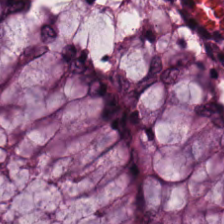Stain: H&E.
Tissue type: normal colon mucosa.
